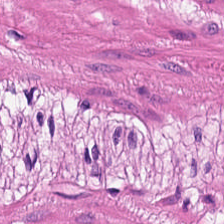Hematoxylin-and-eosin stained section.
Predominantly smooth muscle.
